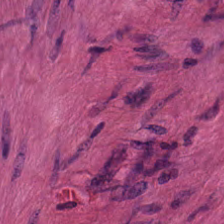Hematoxylin-and-eosin stained section · whole-slide-image patch — Classification = smooth muscle.
